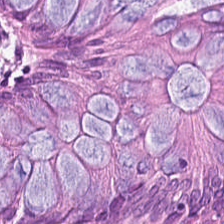Normal colonic mucosa.
